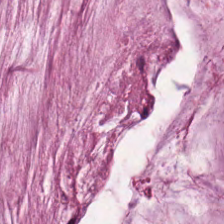Finding → mucus.
